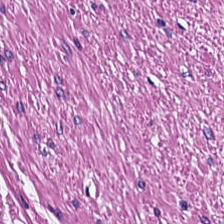Brightfield · 0.5 microns per pixel · H&E stain. This field is smooth-muscle tissue.
